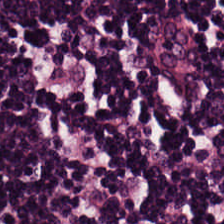H&E-stained tissue section. Predominantly lymphocytic infiltrate.
